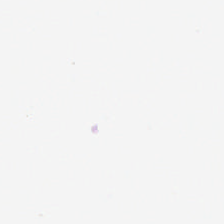H&E · formalin-fixed paraffin-embedded section.
Content — background.
